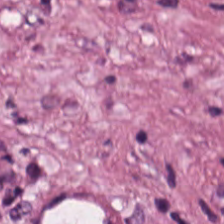Tissue type = cancer-associated stroma.
